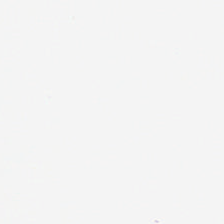WSI patch; hematoxylin and eosin. No tissue.
